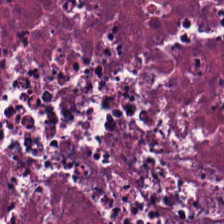20× equivalent magnification; H&E; 224×224 px tile. This field is necrotic debris.
